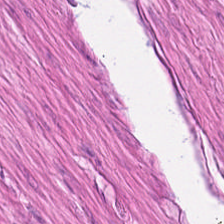Q: What is the predominant tissue type?
A: The field shows muscularis.
